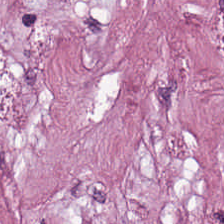224×224 px patch; brightfield microscopy; hematoxylin-and-eosin stained section. This patch shows tumor stroma.
